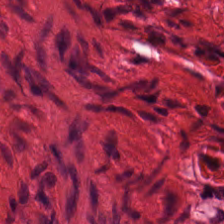224×224 px patch · H&E · 0.5 µm/px.
The tissue is smooth-muscle tissue.
